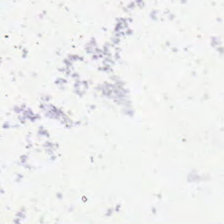0.5 microns per pixel · whole-slide-image patch · hematoxylin and eosin — Empty field — background.
